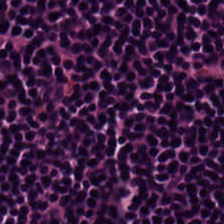Hematoxylin-and-eosin stained section.
This patch shows lymphocytes.
